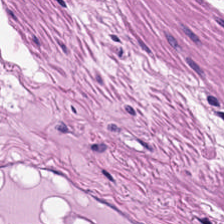0.5 microns per pixel · FFPE tissue section · H&E. Predominantly muscularis.
